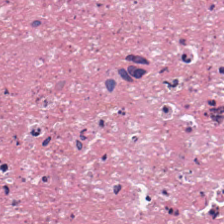Stain: H&E.
Tissue: debris.
